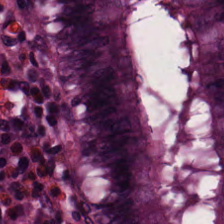224×224 pixel tile · hematoxylin-and-eosin stained section. The predominant tissue is normal colonic mucosa.
